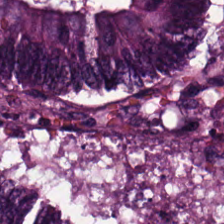Hematoxylin-and-eosin stained section. Q: What tissue type is shown here?
A: This is colorectal adenocarcinoma.
